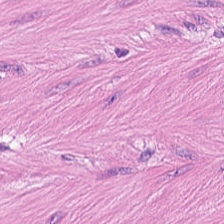0.5 µm per pixel · H&E-stained tissue section · formalin-fixed paraffin-embedded section. Smooth-muscle tissue.
